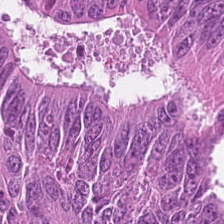Stain: H&E.
Classification: colorectal adenocarcinoma epithelium.
